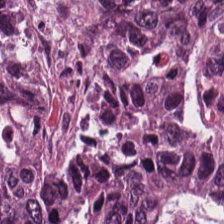H&E stain · 224×224 px patch · WSI patch. Impression — malignant epithelium.
